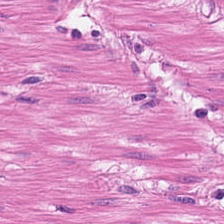H&E stain — Tissue class — smooth muscle.
